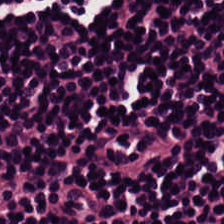H&E — lymphocyte aggregate.
